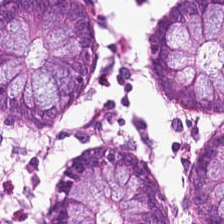H&E stain.
Q: What tissue is shown?
A: The field shows non-neoplastic colon mucosa.
